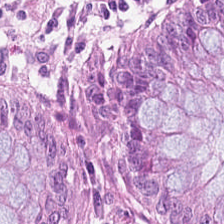The classification is non-neoplastic colon mucosa.
